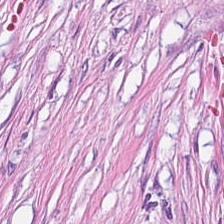0.5 microns per pixel. 224×224 px tile. Hematoxylin and eosin.
The tissue class is desmoplastic stroma.
